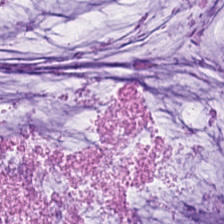Hematoxylin-and-eosin stained section — Q: Identify the tissue.
A: The field shows extracellular mucin.
